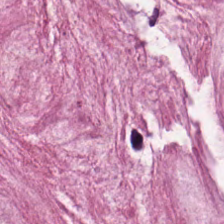Brightfield. Hematoxylin and eosin — Q: What is the predominant tissue type?
A: Mucus.
